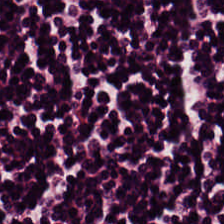{"tissue_type": "lymphocytic infiltrate"}
